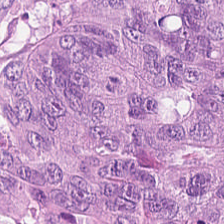Q: Identify the tissue.
A: It is tumor epithelium.
